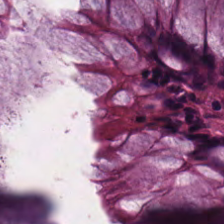H&E. 20× equivalent magnification — Benign colonic mucosa.
